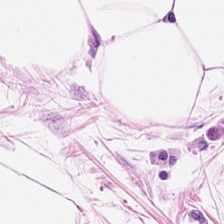FFPE tissue section. Hematoxylin-and-eosin stained section. Tissue type — adipose.
